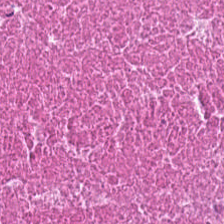Hematoxylin and eosin. Impression → necrotic debris.
